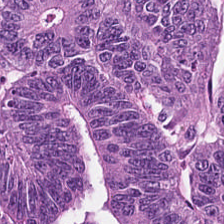H&E. Tissue class = adenocarcinoma.
